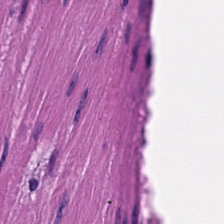H&E.
Histology — smooth muscle.
